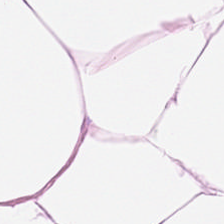Hematoxylin and eosin. Showing adipose.
